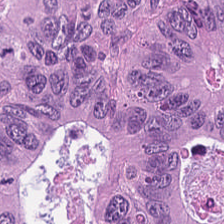Hematoxylin-and-eosin section: adenocarcinoma.
